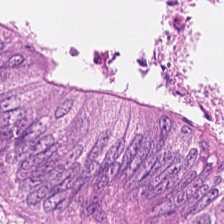0.5 µm per pixel. H&E stain. Formalin-fixed paraffin-embedded section.
Classification — adenocarcinoma.
